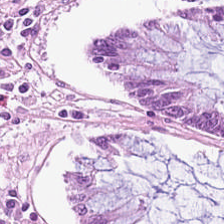H&E-stained tissue section — {"tissue_type": "normal colon mucosa"}
